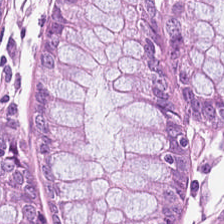Hematoxylin and eosin — Finding — non-neoplastic colon mucosa.
